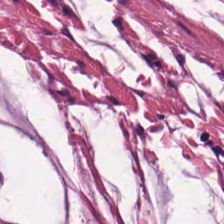Finding — extracellular mucin.
